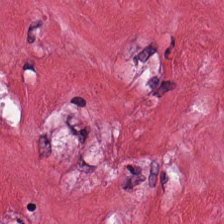224×224 pixel tile; hematoxylin-and-eosin stained section.
Impression → cancer-associated stroma.
